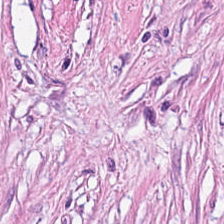{"tissue_type": "cancer-associated stroma"}
